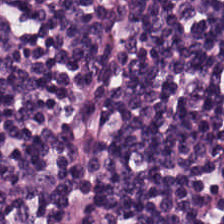Hematoxylin and eosin — Predominant tissue = lymphocytic infiltrate.
